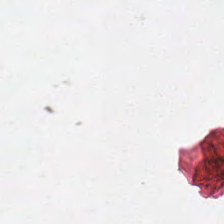Stain: hematoxylin-and-eosin stained section.
Classification: empty background.
